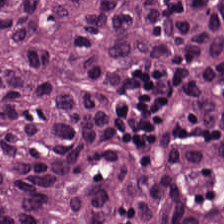224×224 pixel tile · H&E-stained tissue section — Tissue type: tumor epithelium.
